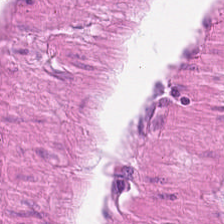H&E-stained tissue section · formalin-fixed paraffin-embedded section. Predominantly smooth-muscle tissue.
